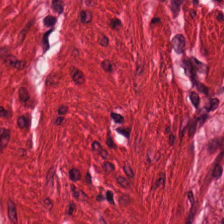WSI patch; H&E stain; 224×224 pixel tile. Predominant tissue — muscularis.
